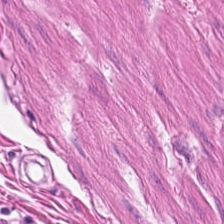Stain: hematoxylin-and-eosin stained section.
Tissue: smooth muscle.
